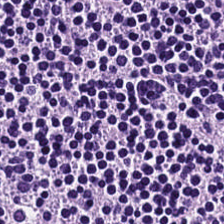Stain: hematoxylin and eosin.
Resolution: 20× equivalent magnification.
Classification: lymphocytic infiltrate.
